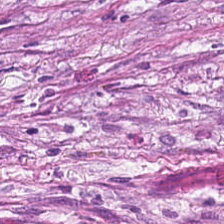FFPE tissue section · H&E · 0.5 µm per pixel — Q: What is the predominant tissue type?
A: It is tumor stroma.
